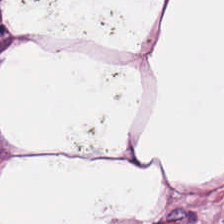224×224 pixel tile; H&E-stained tissue section. Showing adipose.
